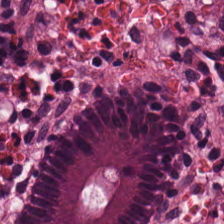0.5 microns per pixel · H&E. Histology → non-neoplastic colon mucosa.
